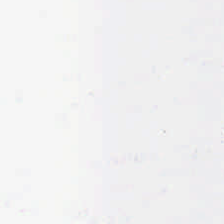H&E-stained tissue section.
Background.
